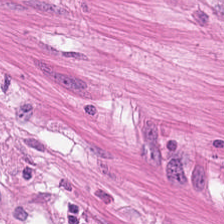H&E.
Tissue type = muscularis.
